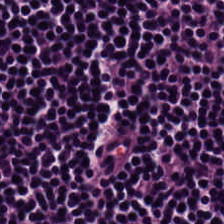Q: What is shown in this field?
A: The field shows lymphocytes.
